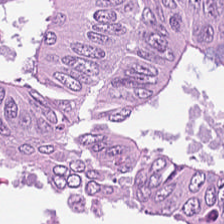H&E — Q: Identify the tissue.
A: This is malignant epithelium.
